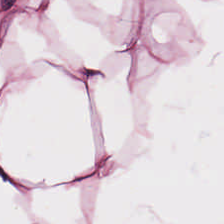H&E; 224×224 pixel tile. This patch shows adipose.
